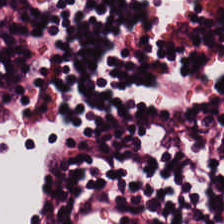Hematoxylin-and-eosin stained section. Lymphocyte aggregate.
